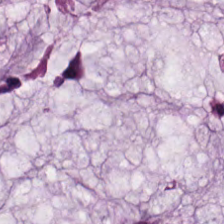Hematoxylin-and-eosin stained section; 224×224 px patch — The predominant tissue is extracellular mucin.
